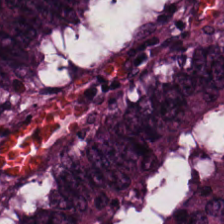Whole-slide-image patch. Formalin-fixed paraffin-embedded section. H&E stain. Tissue type: tumor epithelium.
